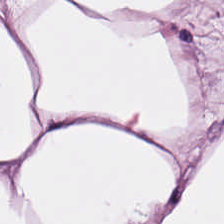Predominant tissue: adipose.
